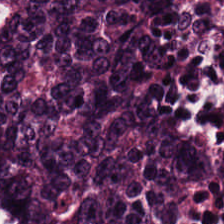Tissue class: tumor epithelium.
